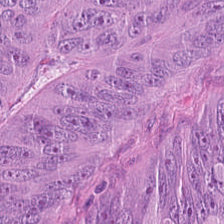H&E stain; 224×224 pixel tile — Q: What is the predominant tissue type?
A: The field shows malignant epithelium.
